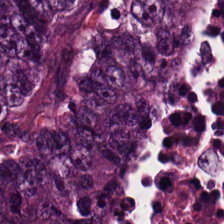Stain: H&E.
Tissue type: malignant epithelium.
